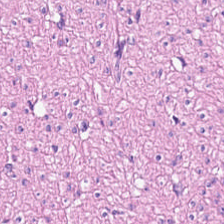Hematoxylin-and-eosin stained section.
Tissue: smooth muscle.
